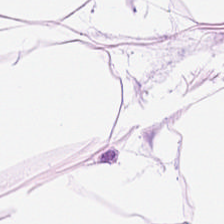Formalin-fixed paraffin-embedded section; H&E-stained tissue section. The predominant tissue is adipocytes.
